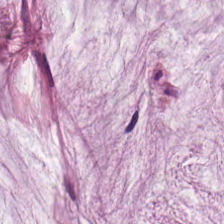H&E-stained tissue section. Q: What tissue is shown?
A: It is mucin.
